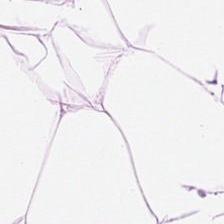Impression — fat tissue.
